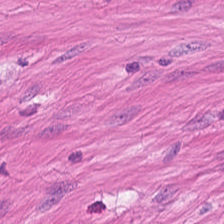224×224 px tile. H&E. The tissue type is smooth muscle.
